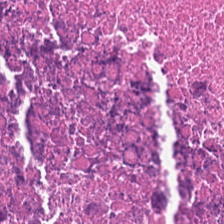H&E-stained tissue section.
Tissue = cellular debris.
